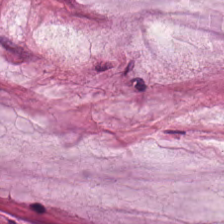Hematoxylin-and-eosin stained section — The tissue here is mucin.
